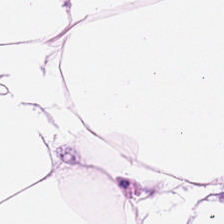Q: What is shown in this field?
A: Adipose tissue.
